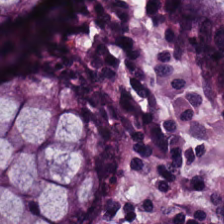H&E stain — {"tissue_type": "normal colon mucosa"}
